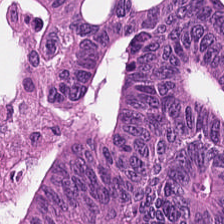Hematoxylin-and-eosin stained section. Histology — malignant epithelium.
